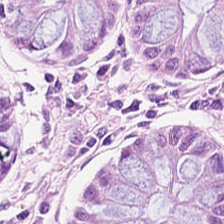The tissue is normal colonic mucosa.
